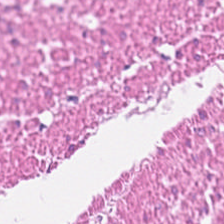H&E-stained tissue section showing smooth muscle.
